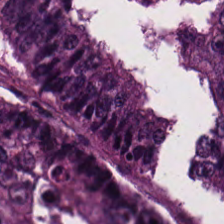H&E-stained tissue section. 224×224 pixel tile. Formalin-fixed paraffin-embedded section. Histology → adenocarcinoma.
